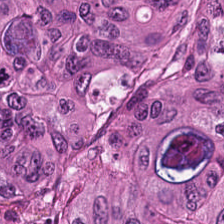H&E — Q: What does this patch show?
A: This is malignant epithelium.
